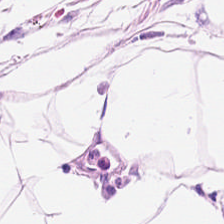Hematoxylin-and-eosin stained section.
{"tissue_type": "adipocytes"}
